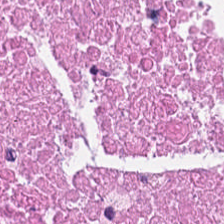Q: What is shown in this field?
A: The field shows cellular debris.
